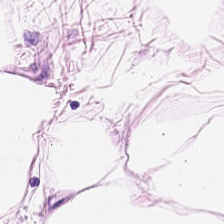FFPE. H&E. WSI patch — This field is adipocytes.
